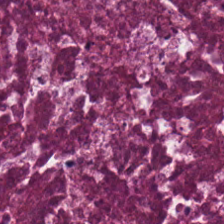H&E — cellular debris.
